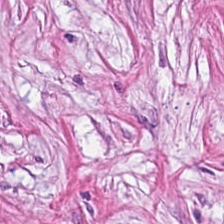FFPE. 224×224 px patch. Hematoxylin-and-eosin stained section.
Classification: tumor stroma.
